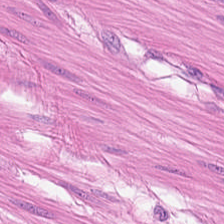Whole-slide-image patch. 20× equivalent magnification. H&E stain. Histology — smooth muscle.
